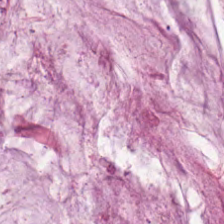H&E stain. Showing extracellular mucin.
